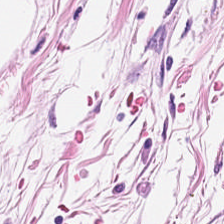Tissue class — adipose tissue.
